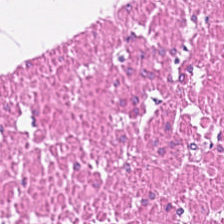H&E-stained tissue section — {"tissue_type": "smooth-muscle tissue"}
